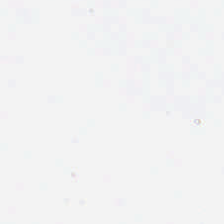0.5 µm per pixel. H&E-stained tissue section — Background.
